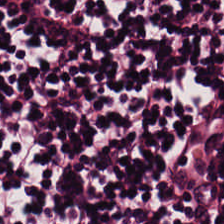H&E stain. Predominant tissue = lymphocyte aggregate.
